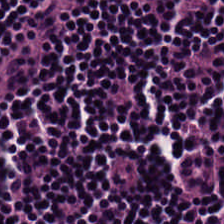H&E stain — Tissue class: lymphocyte aggregate.
